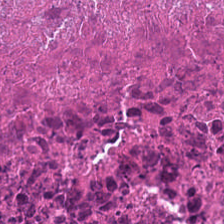Predominant tissue: cellular debris.
